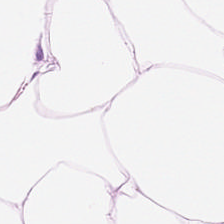H&E stain — {"tissue_type": "adipose"}
